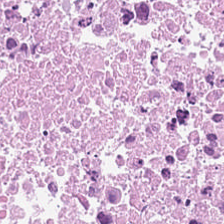Hematoxylin and eosin.
Predominantly debris.
